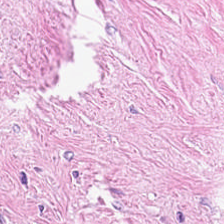H&E-stained tissue section showing cancer-associated stroma.
